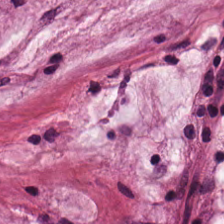H&E; FFPE. Showing mucin.
